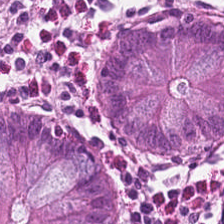H&E-stained tissue section · 224×224 pixel tile — Showing normal colonic mucosa.
